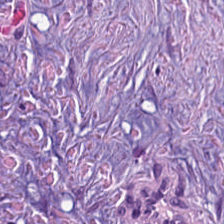0.5 microns per pixel. Hematoxylin-and-eosin stained section. 224×224 pixel tile.
The tissue is desmoplastic stroma.
